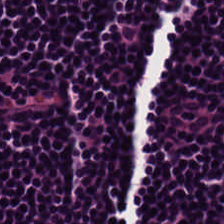Histology → lymphocytic infiltrate.
